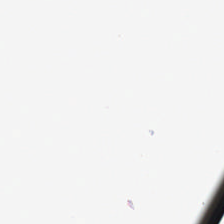WSI patch. Hematoxylin-and-eosin stained section. {"content": "empty background"}
